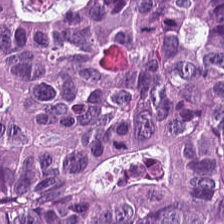Hematoxylin and eosin. Brightfield — Showing colorectal adenocarcinoma epithelium.
